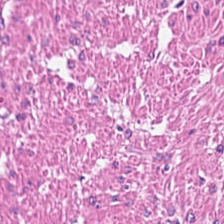Brightfield · hematoxylin-and-eosin stained section — Smooth muscle.
